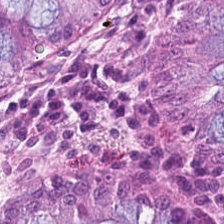The tissue type is normal colonic mucosa.
